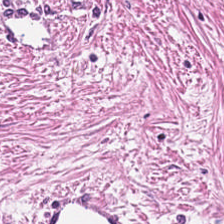Showing desmoplastic stroma.
